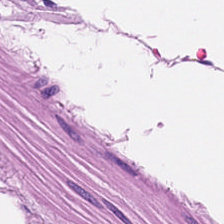H&E stain; FFPE tissue section — This patch shows smooth muscle.
